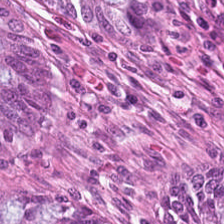H&E stain. This patch shows normal colon mucosa.
